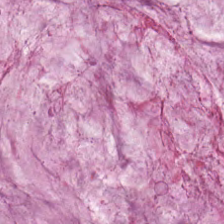Brightfield microscopy. Hematoxylin and eosin. Tissue class = mucus.
